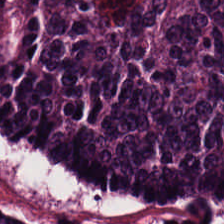Stain: H&E stain.
Classification: tumor epithelium.
